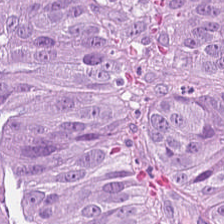Hematoxylin-and-eosin stained section. 224×224 pixel tile — Adenocarcinoma.
